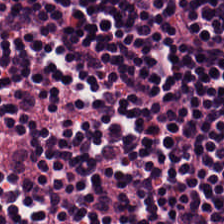Hematoxylin-and-eosin stained section; whole-slide-image patch — Q: What tissue type is shown here?
A: The field shows lymphocyte aggregate.
